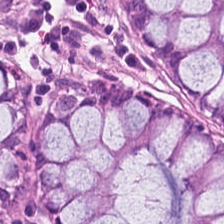Stain: H&E-stained tissue section.
Tissue: normal colonic mucosa.
